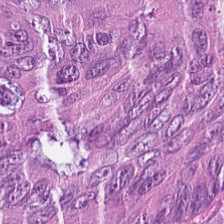H&E.
Colorectal adenocarcinoma epithelium.
